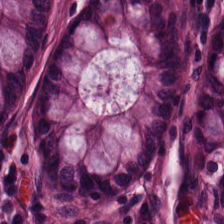Hematoxylin and eosin; formalin-fixed paraffin-embedded section; 0.5 microns per pixel.
Tissue: non-neoplastic colon mucosa.
